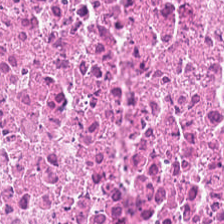Finding — necrotic debris.
